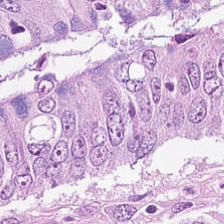Brightfield. H&E stain.
Q: What tissue is shown?
A: This is colorectal adenocarcinoma.
